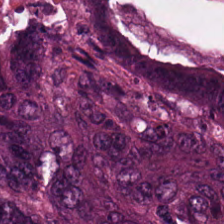The predominant tissue is colorectal adenocarcinoma epithelium.
